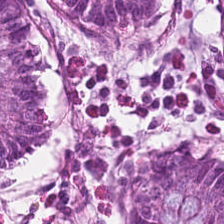WSI patch. 0.5 microns per pixel. Hematoxylin and eosin.
Predominant tissue — normal colonic mucosa.
